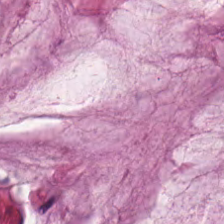H&E-stained tissue section.
Q: What tissue type is shown here?
A: It is extracellular mucin.
